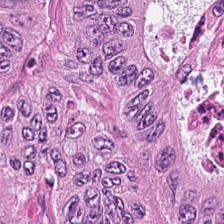Predominant tissue = colorectal adenocarcinoma.
